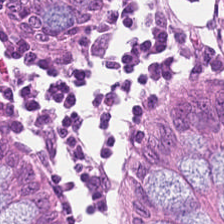Q: Classify this patch.
A: This is normal colonic mucosa.
